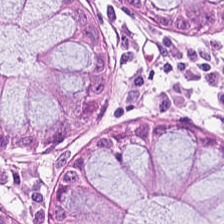20× equivalent magnification; H&E-stained tissue section. {"tissue_type": "normal colonic mucosa"}
